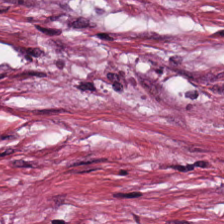Hematoxylin-and-eosin stained section.
The tissue type is tumor-associated stroma.
